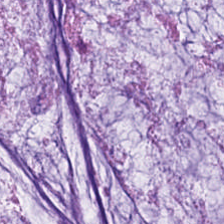Classification = extracellular mucin.
